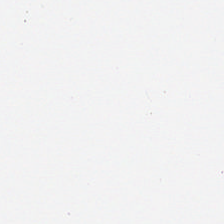H&E — This patch shows background (no tissue).
